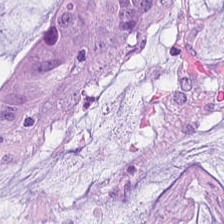Stain: hematoxylin-and-eosin stained section.
Tile size: 224×224 px tile.
Tissue: mucin.
